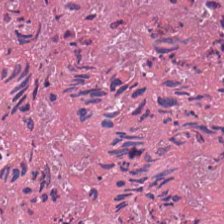The predominant tissue is cellular debris.
